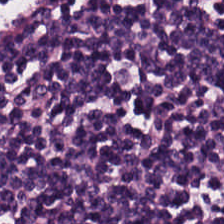H&E stain.
Tissue: lymphocytes.
